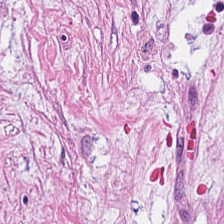H&E. 224×224 px tile.
Q: What type of tissue is this?
A: The field shows desmoplastic stroma.
